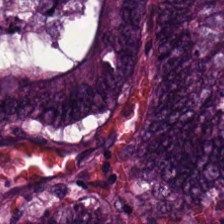FFPE tissue section; H&E — Q: What is shown here?
A: The field shows colorectal adenocarcinoma.
